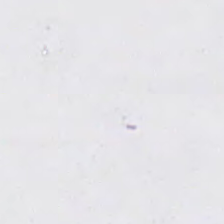Hematoxylin and eosin. The field content is background (no tissue).
